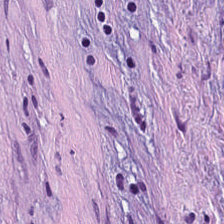Hematoxylin-and-eosin stained section.
Classification: tumor stroma.
